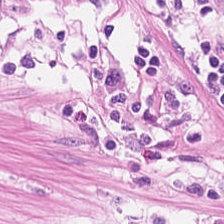H&E stain.
Predominant tissue = muscularis.
